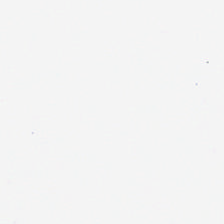Classification: background (no tissue).
